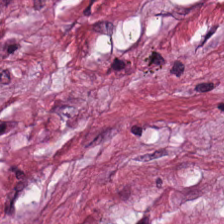FFPE · hematoxylin-and-eosin stained section.
Showing tumor stroma.
